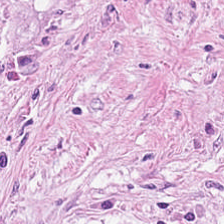Stain: H&E.
Tile size: 224×224 pixel tile.
Tissue class: tumor-associated stroma.
